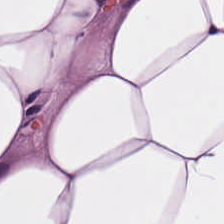H&E stain. Showing adipose.
